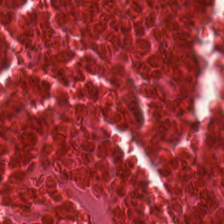H&E stain · brightfield microscopy · 0.5 microns per pixel — Impression → necrotic debris.
